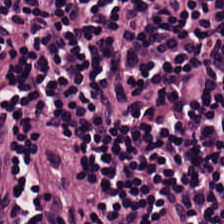H&E stain — Q: What type of tissue is this?
A: Lymphocyte aggregate.
